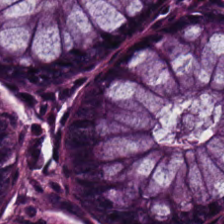The tissue class is non-neoplastic colon mucosa.
